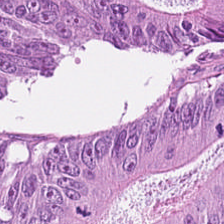Q: Identify the tissue.
A: Adenocarcinoma.
